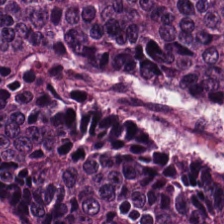H&E.
Impression → colorectal adenocarcinoma epithelium.
